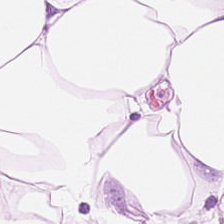H&E stain. Tissue class — adipose.
